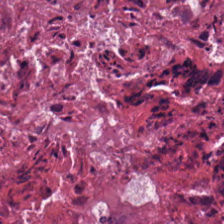Hematoxylin and eosin. The tissue here is necrotic debris.
